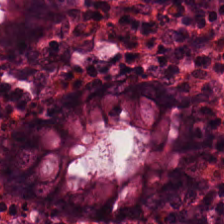H&E — Classification — non-neoplastic colon mucosa.
